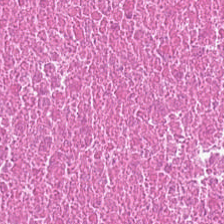H&E stain — {"tissue_type": "cellular debris"}
